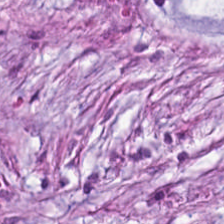20× equivalent magnification · H&E-stained tissue section · 224×224 px tile.
Cancer-associated stroma.
